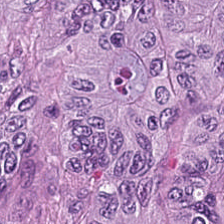Hematoxylin-and-eosin stained section — Q: What does this patch show?
A: This is malignant epithelium.
